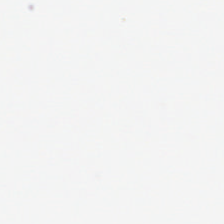H&E stain. Field content — background.
